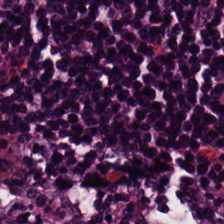H&E stain. 224×224 px patch.
Q: What is the predominant tissue type?
A: This is lymphoid infiltrate.
